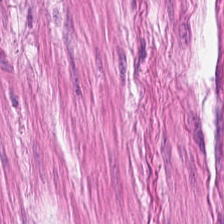H&E-stained tissue section — The predominant tissue is muscularis.
